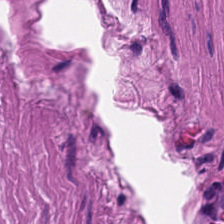Predominant tissue: smooth-muscle tissue.
